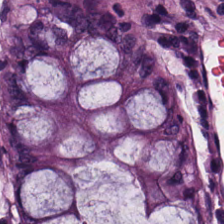H&E stain.
This patch shows non-neoplastic colon mucosa.
